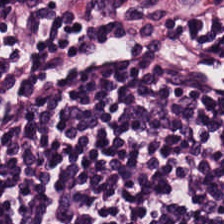Hematoxylin and eosin.
Q: What is shown here?
A: Lymphocytes.
